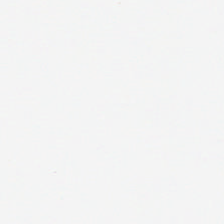H&E-stained tissue section — Empty field — background.
